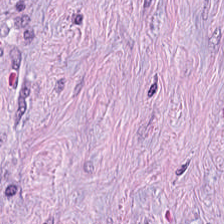H&E — Predominant tissue: tumor-associated stroma.
